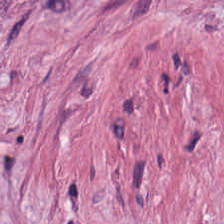Q: What is shown here?
A: The field shows tumor stroma.
